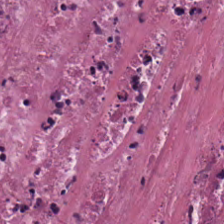Tissue type: necrotic debris.
